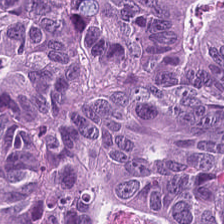Hematoxylin-and-eosin stained section — {"tissue_type": "tumor epithelium"}
